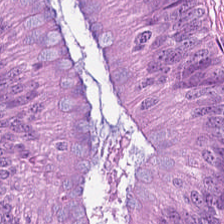Hematoxylin-and-eosin stained section. The predominant tissue is adenocarcinoma.
